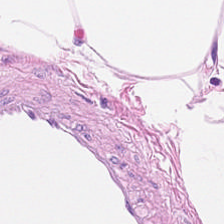H&E. Brightfield microscopy.
Showing adipose tissue.
